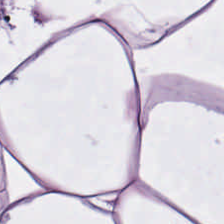224×224 pixel tile; H&E stain — Q: Classify this patch.
A: It is fat tissue.
